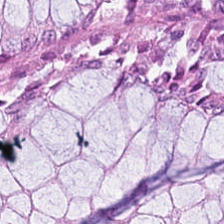H&E-stained tissue section.
This patch shows non-neoplastic colon mucosa.
